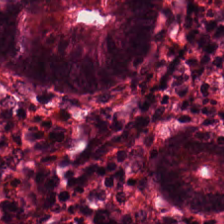H&E. The predominant tissue is benign colonic mucosa.
